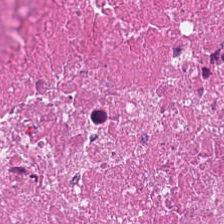Stain: hematoxylin-and-eosin stained section.
Predominant tissue: cellular debris.
